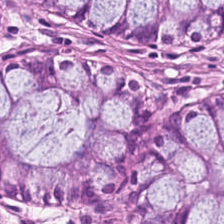Hematoxylin and eosin.
Predominant tissue — normal colonic mucosa.
